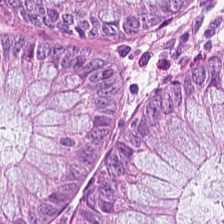H&E stain; 20× equivalent magnification — The tissue is benign colonic mucosa.
